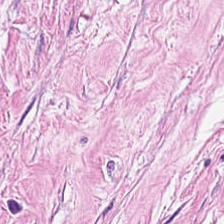Brightfield · H&E.
Q: Identify the tissue.
A: The field shows tumor stroma.
